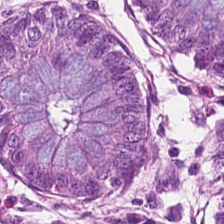224×224 px patch; H&E; brightfield. Tissue class — normal colonic mucosa.
